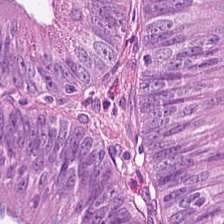H&E-stained tissue section — Q: What tissue type is shown here?
A: It is tumor epithelium.
